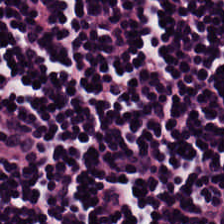Q: What is shown here?
A: It is lymphocyte aggregate.
